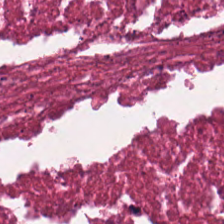0.5 µm per pixel. H&E stain. FFPE tissue section.
Q: What tissue type is shown here?
A: The field shows necrotic debris.
